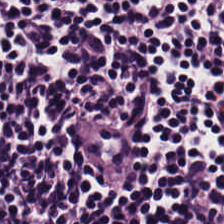Hematoxylin-and-eosin stained section.
Q: What type of tissue is this?
A: Lymphocytes.
